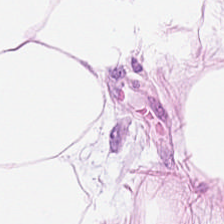Q: Identify the tissue.
A: It is adipose tissue.
